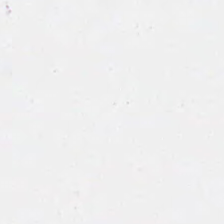H&E.
No tissue present; background only.
